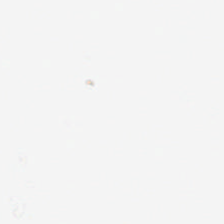Hematoxylin-and-eosin stained section · formalin-fixed paraffin-embedded section · 0.5 microns per pixel. Q: What is shown here?
A: This is background (no tissue).
